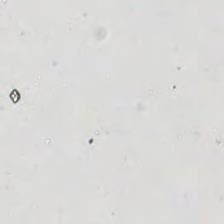Hematoxylin and eosin — Impression — background (no tissue).
